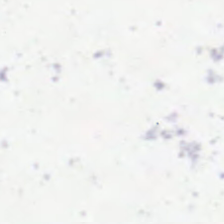0.5 µm/px; 224×224 px patch; hematoxylin-and-eosin stained section. Finding → empty background.
